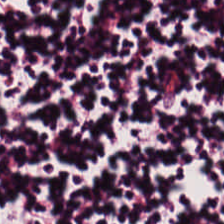H&E-stained tissue section.
Classification: lymphocyte aggregate.
